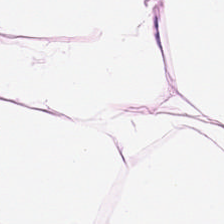H&E stain. FFPE tissue section. 0.5 µm per pixel.
Q: Identify the tissue.
A: This is adipocytes.
